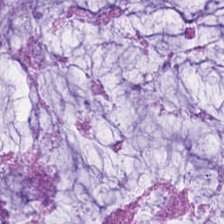The tissue class is extracellular mucin.
